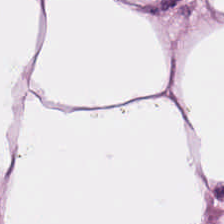H&E-stained tissue section; 20× equivalent magnification — Classification — fat tissue.
